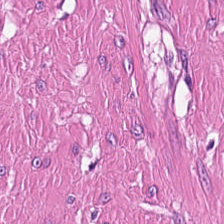Hematoxylin-and-eosin stained section. {"tissue_type": "smooth muscle"}
